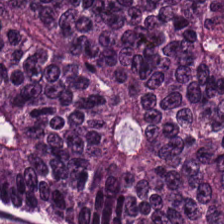224×224 px patch. Hematoxylin-and-eosin stained section — Q: What tissue is shown?
A: The field shows adenocarcinoma.
